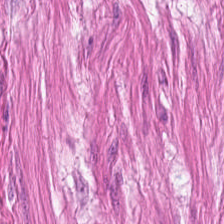Stain: H&E-stained tissue section.
Acquisition: whole-slide-image patch.
Preparation: formalin-fixed paraffin-embedded section.
Classification: smooth-muscle tissue.
